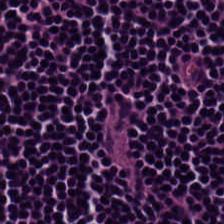H&E — lymphoid infiltrate.
